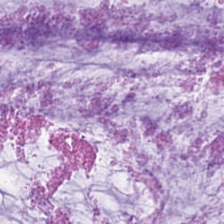H&E stain — Q: What tissue is shown?
A: It is extracellular mucin.
